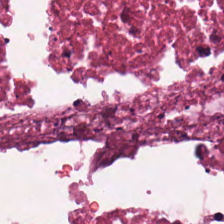H&E. Tissue class: cellular debris.
